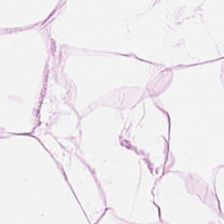H&E stain — Q: What is shown here?
A: This is fat tissue.
